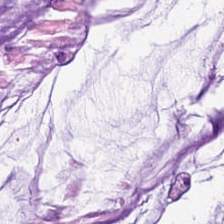Predominant tissue — extracellular mucin.
